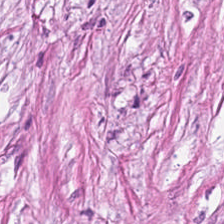20× equivalent magnification; H&E.
The predominant tissue is desmoplastic stroma.
